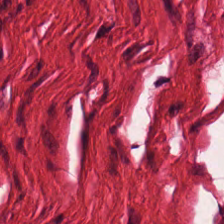Stain: H&E.
Classification: smooth-muscle tissue.
